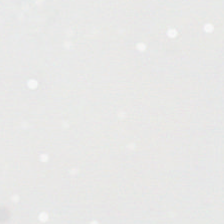H&E stain.
Histology → background (no tissue).
